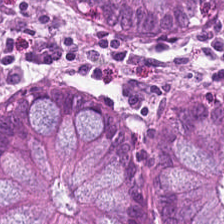WSI patch; H&E-stained tissue section. The tissue type is normal colon mucosa.
